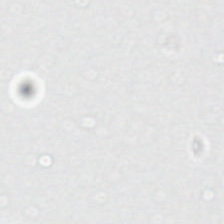{"content": "empty background"}
